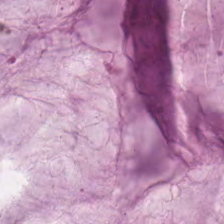H&E-stained tissue section · 20× equivalent magnification — The tissue class is mucus.
